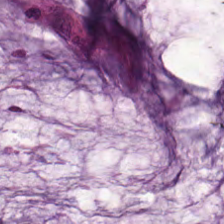Hematoxylin and eosin — The tissue here is extracellular mucin.
